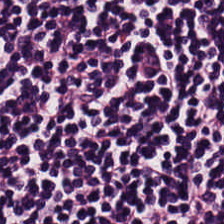0.5 µm/px. Hematoxylin and eosin.
The predominant tissue is lymphocytic infiltrate.
